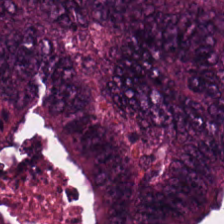Colorectal adenocarcinoma epithelium.
